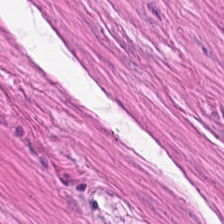20× equivalent magnification. H&E. Classification = smooth-muscle tissue.
